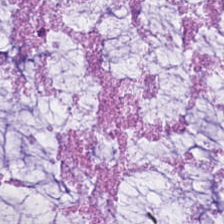Hematoxylin and eosin.
Classification — mucin.
